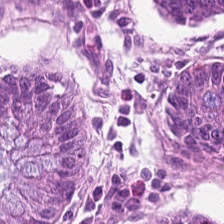Brightfield microscopy; H&E stain — Showing normal colon mucosa.
